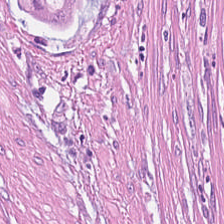WSI patch · H&E-stained tissue section — This field is tumor stroma.
